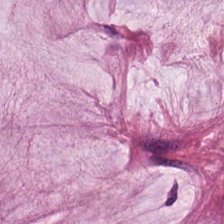Stain: H&E stain.
Resolution: 0.5 µm per pixel.
Tissue type: mucus.
